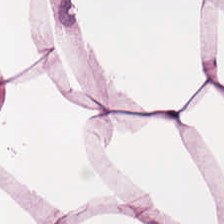Stain: H&E.
Tissue type: adipose tissue.
